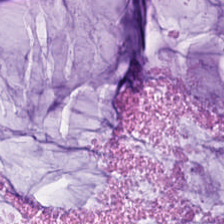Stain: hematoxylin-and-eosin stained section.
Classification: mucin.
